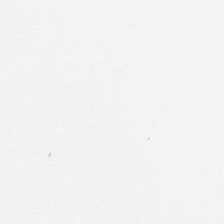H&E stain. Empty field — empty background.
